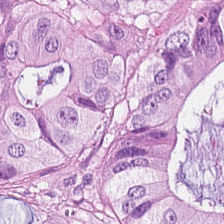The classification is malignant epithelium.
